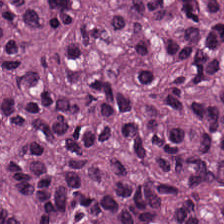WSI patch. H&E stain. Tissue class — adenocarcinoma.
